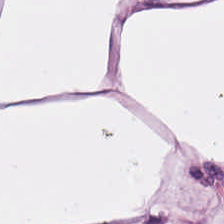Hematoxylin and eosin. Predominant tissue: fat tissue.
